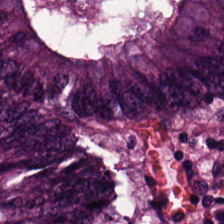Stain: H&E.
Predominant tissue: tumor epithelium.
